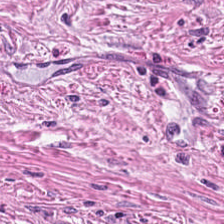H&E. {"tissue_type": "tumor stroma"}
